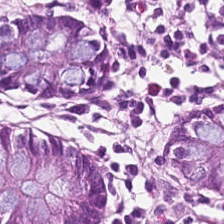H&E; formalin-fixed paraffin-embedded section.
The tissue type is benign colonic mucosa.
